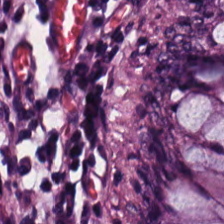Q: What tissue type is shown here?
A: It is non-neoplastic colon mucosa.
